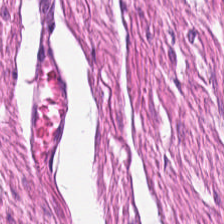Tissue class: smooth muscle.
